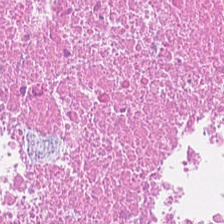{"tissue_type": "necrotic debris"}
